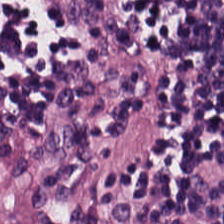WSI patch; hematoxylin and eosin. Q: What is shown in this field?
A: Lymphoid infiltrate.
